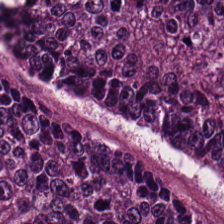H&E-stained tissue section.
The classification is adenocarcinoma.
